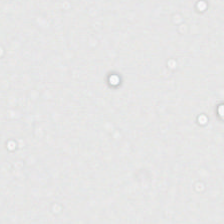Hematoxylin-and-eosin stained section; 0.5 microns per pixel. Q: What is shown in this field?
A: Empty background.
